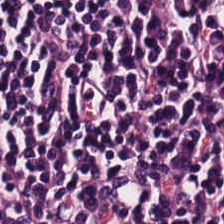H&E · 224×224 px patch — {"tissue_type": "lymphocytes"}
